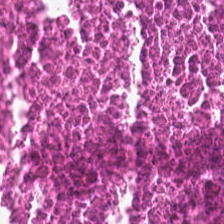Hematoxylin and eosin. {"tissue_type": "cellular debris"}
